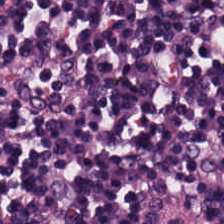Whole-slide-image patch. 20× equivalent magnification. Hematoxylin and eosin.
Predominantly lymphocyte aggregate.
